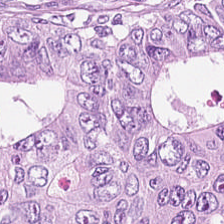Brightfield · H&E-stained tissue section — Q: Classify this patch.
A: It is colorectal adenocarcinoma epithelium.
